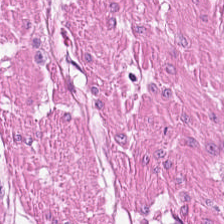H&E stain — Q: Identify the tissue.
A: It is smooth-muscle tissue.
